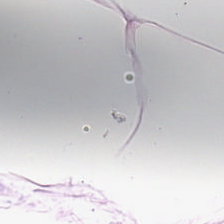FFPE tissue section · H&E · 224×224 px tile — Showing fat tissue.
